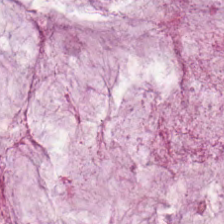Predominantly mucin.
